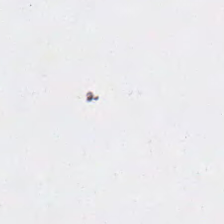Stain: H&E-stained tissue section.
Classification: background.
